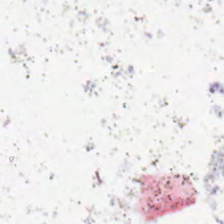Hematoxylin and eosin.
Histology — background (no tissue).
